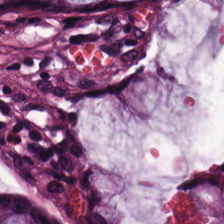H&E-stained tissue section — Tissue — benign colonic mucosa.
